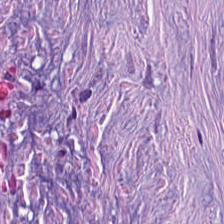Hematoxylin and eosin.
{"tissue_type": "tumor stroma"}
